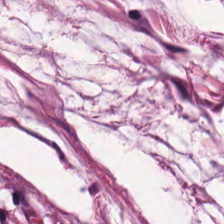Hematoxylin and eosin.
This field is mucus.
